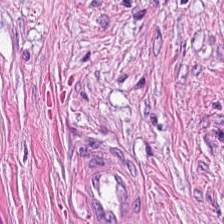The tissue class is cancer-associated stroma.
